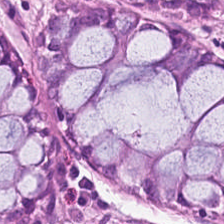The tissue here is non-neoplastic colon mucosa.
